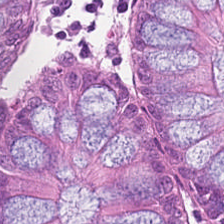Hematoxylin-and-eosin stained section — Showing normal colonic mucosa.
